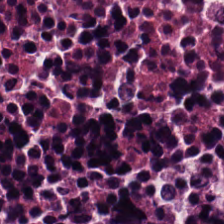224×224 px patch; H&E-stained tissue section. The predominant tissue is cellular debris.
